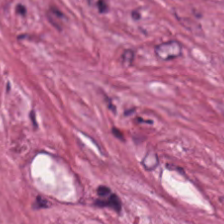Hematoxylin and eosin.
This patch shows desmoplastic stroma.
